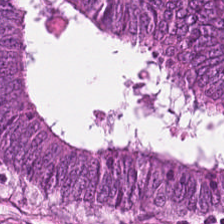Stain: H&E-stained tissue section.
Tissue: colorectal adenocarcinoma.
